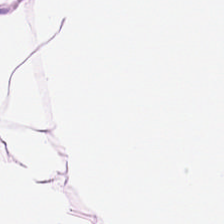H&E-stained tissue section. Fat tissue.
